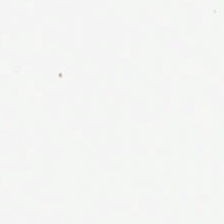Stain: H&E-stained tissue section.
Classification: empty background.
